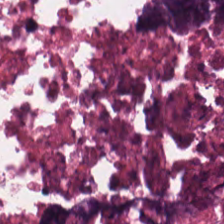Stain: H&E.
Tile size: 224×224 px patch.
Predominant tissue: necrotic debris.
